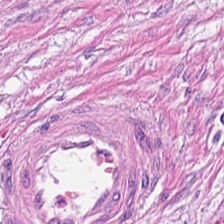Stain: hematoxylin and eosin.
Tissue: tumor-associated stroma.
